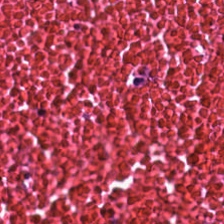This patch shows cellular debris.
